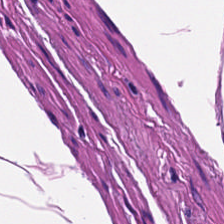Stain: hematoxylin-and-eosin stained section.
Predominant tissue: smooth muscle.
